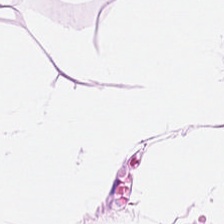0.5 µm/px; H&E stain.
Tissue class = adipocytes.
